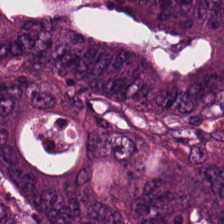224×224 pixel tile. H&E. The tissue here is colorectal adenocarcinoma.
